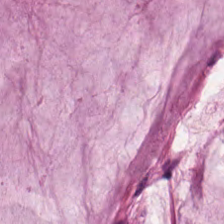Hematoxylin-and-eosin stained section — The tissue class is extracellular mucin.
